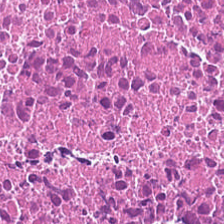This field is necrotic debris.
